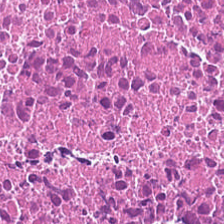This field is necrotic debris.
